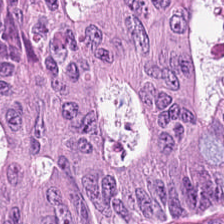Stain: hematoxylin and eosin.
Tissue: adenocarcinoma.
